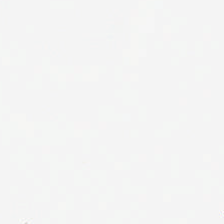H&E-stained tissue section. FFPE tissue section. 20× equivalent magnification. Impression — background (no tissue).
